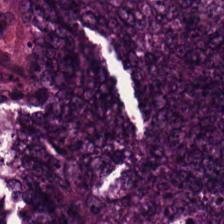H&E-stained tissue section.
The predominant tissue is colorectal adenocarcinoma epithelium.
